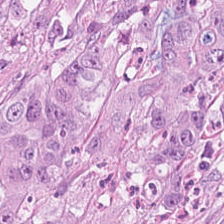Showing tumor epithelium.
